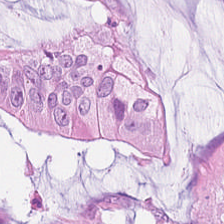This field is colorectal adenocarcinoma epithelium.
